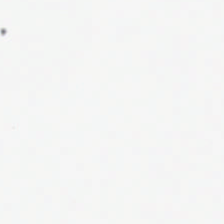Stain: hematoxylin and eosin.
Classification: empty background.
